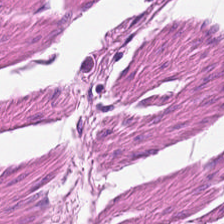H&E.
Q: What type of tissue is this?
A: It is smooth-muscle tissue.
